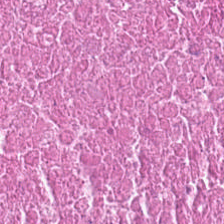H&E-stained tissue section.
Tissue class: debris.
